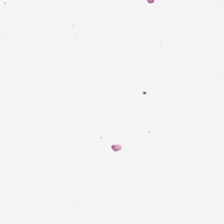FFPE · H&E · brightfield microscopy.
Finding — background (no tissue).
